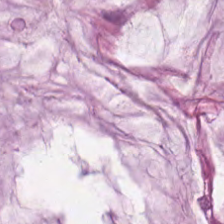Stain: H&E.
Preparation: FFPE tissue section.
Tissue: mucin.
